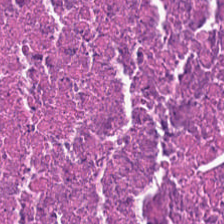The tissue here is cellular debris.
